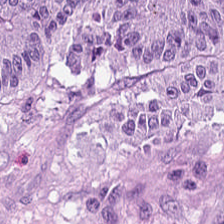Q: Classify this patch.
A: This is colorectal adenocarcinoma epithelium.
